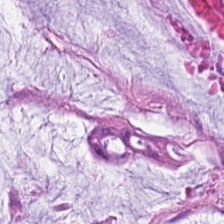0.5 µm/px · hematoxylin and eosin · brightfield microscopy.
Tissue class = extracellular mucin.
